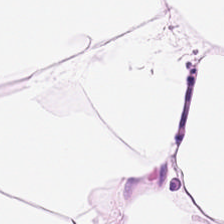H&E stain. The tissue here is adipose.
